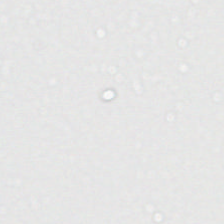H&E.
Content — background.
